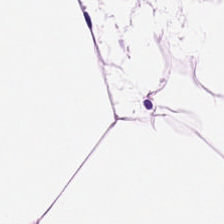WSI patch · hematoxylin-and-eosin stained section.
Q: What is shown here?
A: The field shows adipocytes.
